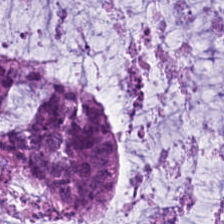FFPE tissue section · hematoxylin and eosin — This patch shows extracellular mucin.
